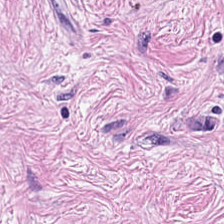H&E stain.
The tissue here is desmoplastic stroma.
